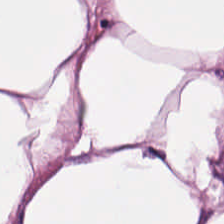224×224 px tile. Whole-slide-image patch. H&E — Tissue class: fat tissue.
